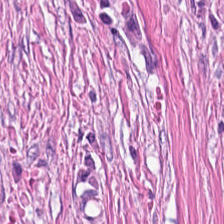H&E — desmoplastic stroma.
